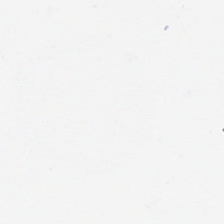H&E stain. Finding — background.
